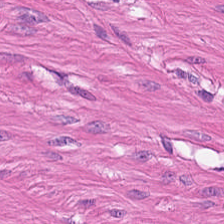H&E-stained tissue section.
The tissue is smooth-muscle tissue.
